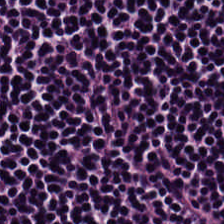Hematoxylin and eosin. 224×224 pixel tile. This field is lymphocytes.
